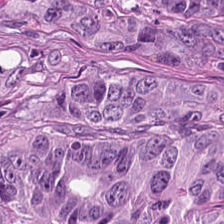224×224 pixel tile; hematoxylin-and-eosin stained section; WSI patch.
This field is colorectal adenocarcinoma.
